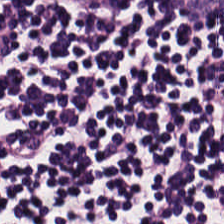Q: What tissue type is shown here?
A: Lymphoid infiltrate.
